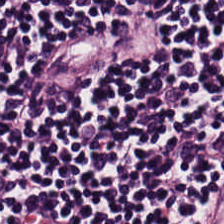20× equivalent magnification; H&E; FFPE — This field is lymphocytic infiltrate.
